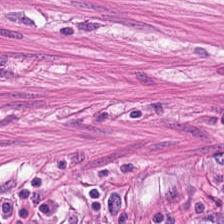Stain: H&E stain.
Tissue type: muscularis.
